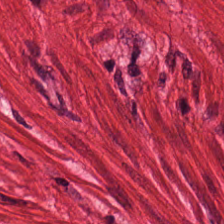H&E-stained tissue section.
Tissue — smooth muscle.
